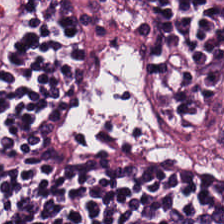0.5 µm per pixel; 224×224 px tile; hematoxylin and eosin. Predominantly lymphocytes.
